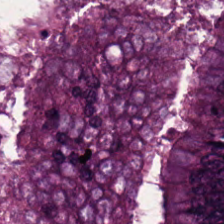0.5 microns per pixel; hematoxylin and eosin. This patch shows tumor epithelium.
